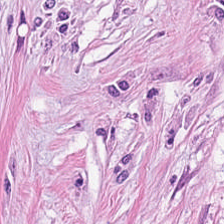Hematoxylin and eosin — Tissue type: desmoplastic stroma.
